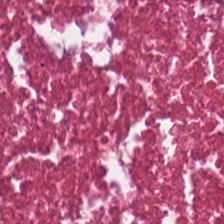H&E stain. 0.5 microns per pixel.
Necrotic debris.
